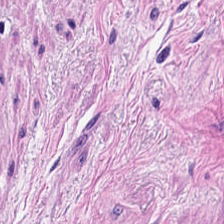H&E-stained section; the field shows muscularis.
